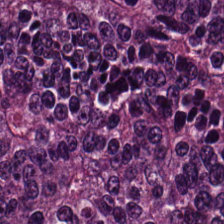Stain: H&E-stained tissue section.
Tissue class: malignant epithelium.
